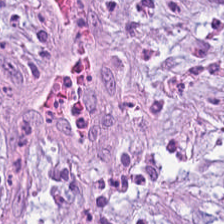Brightfield. H&E stain — Showing cancer-associated stroma.
